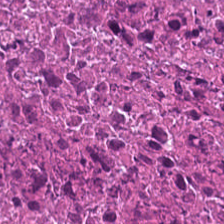Hematoxylin-and-eosin stained section.
Classification — debris.
